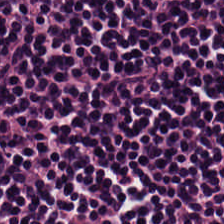Brightfield · H&E-stained tissue section — Predominant tissue = lymphocytic infiltrate.
